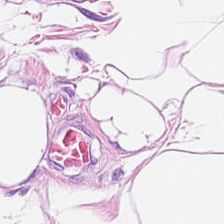Hematoxylin-and-eosin section: adipose.
